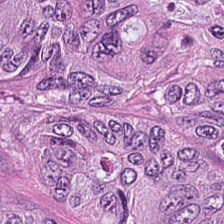FFPE · H&E-stained tissue section — Q: What type of tissue is this?
A: Adenocarcinoma.
